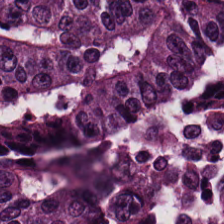H&E-stained tissue section showing malignant epithelium.
